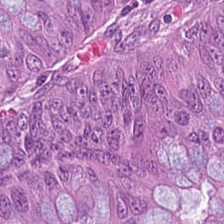H&E. Q: Identify the tissue.
A: It is colorectal adenocarcinoma.
